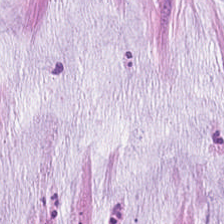224×224 pixel tile. H&E.
This patch shows extracellular mucin.
